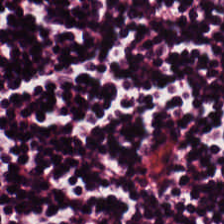224×224 px patch · 0.5 µm per pixel · H&E stain. Q: What is shown in this field?
A: The field shows lymphocytes.
